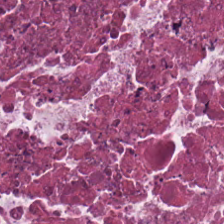Brightfield · H&E · 224×224 pixel tile.
Finding — debris.
